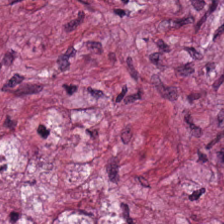H&E stain.
Impression — tumor stroma.
